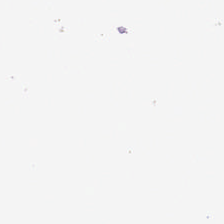Whole-slide-image patch; hematoxylin-and-eosin stained section — Q: What does this patch show?
A: This is background.
